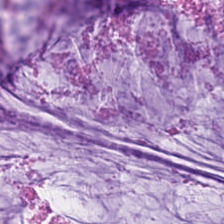H&E stain — Finding — extracellular mucin.
